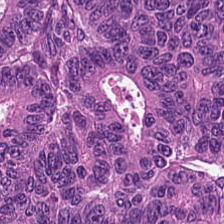224×224 pixel tile. H&E stain — The predominant tissue is tumor epithelium.
